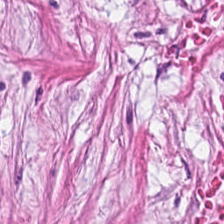H&E-stained tissue section. The predominant tissue is desmoplastic stroma.
